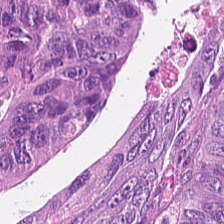0.5 µm/px; 224×224 px patch; hematoxylin and eosin.
Histology → colorectal adenocarcinoma epithelium.
